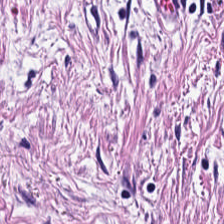H&E.
Cancer-associated stroma.
